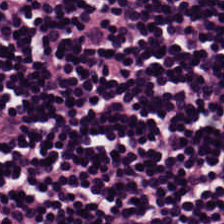224×224 px tile; H&E stain; 0.5 µm/px. Predominantly lymphoid infiltrate.
